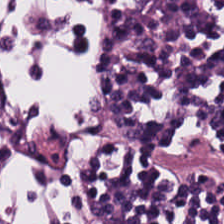Hematoxylin-and-eosin stained section — {"tissue_type": "lymphoid infiltrate"}
